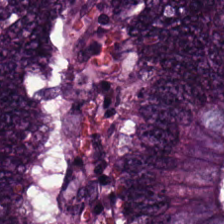H&E-stained tissue section showing colorectal adenocarcinoma epithelium.
